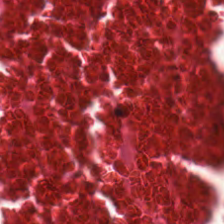H&E stain · formalin-fixed paraffin-embedded section · 20× equivalent magnification.
Q: What is shown here?
A: Necrotic debris.
